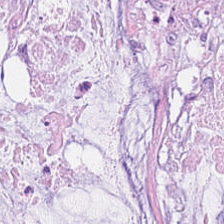FFPE tissue section. H&E-stained tissue section.
Predominant tissue = mucus.
